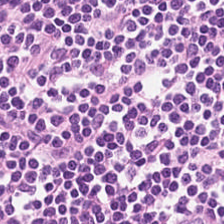FFPE tissue section; H&E stain — The tissue here is lymphocytic infiltrate.
